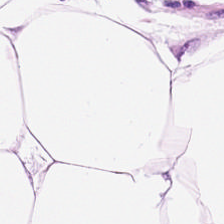224×224 pixel tile · H&E stain. Showing adipose.
